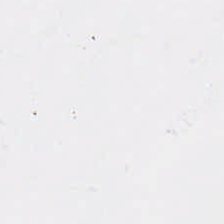H&E stain.
{"content": "background (no tissue)"}
